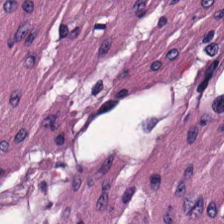20× equivalent magnification · H&E stain.
Predominant tissue: muscularis.
